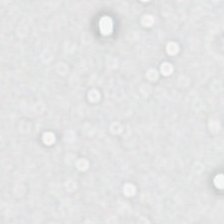Hematoxylin-and-eosin stained section. Formalin-fixed paraffin-embedded section.
No tissue present; background only.
